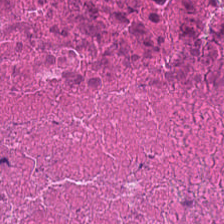H&E; WSI patch.
Impression → debris.
